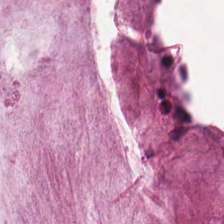Hematoxylin and eosin.
The tissue here is extracellular mucin.
